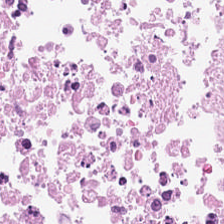{"tissue_type": "debris"}
